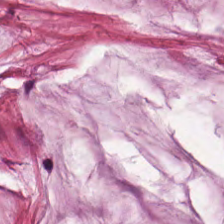This patch shows extracellular mucin.
